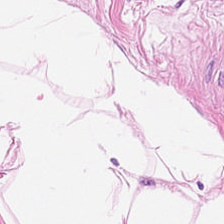H&E-stained tissue section — The tissue class is adipose.
